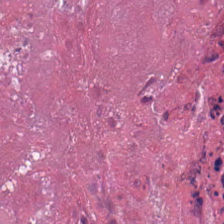H&E stain. Q: Classify this patch.
A: The field shows necrotic debris.
